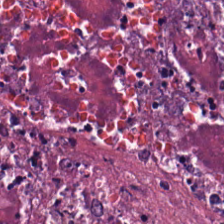The tissue class is necrotic debris.
